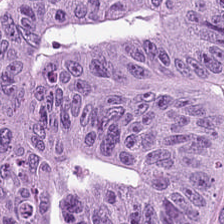Q: What is shown in this field?
A: The field shows colorectal adenocarcinoma epithelium.
